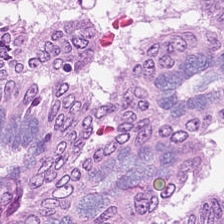Hematoxylin and eosin; 0.5 µm per pixel — The predominant tissue is colorectal adenocarcinoma epithelium.
